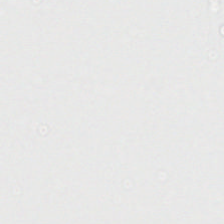Content — no tissue.
